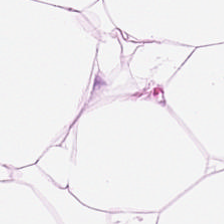Hematoxylin and eosin — Adipose tissue.
